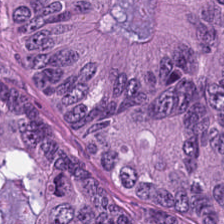Showing malignant epithelium.
